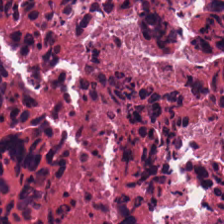Hematoxylin and eosin · brightfield.
Showing debris.
